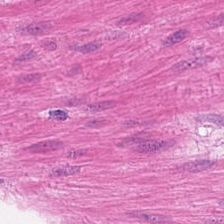Hematoxylin-and-eosin stained section. Finding — smooth muscle.
